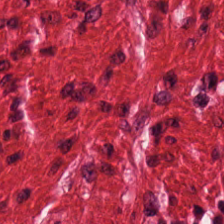Hematoxylin and eosin — The predominant tissue is smooth muscle.
